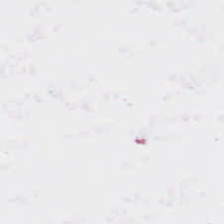224×224 pixel tile. Hematoxylin and eosin.
This patch shows empty background.
